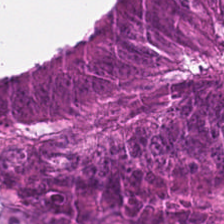Tumor epithelium.
